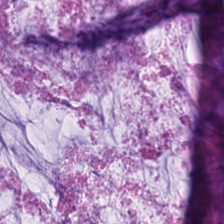224×224 pixel tile · H&E.
Histology — extracellular mucin.
